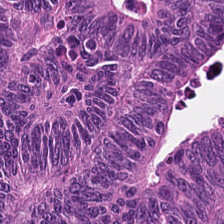Finding → malignant epithelium.
